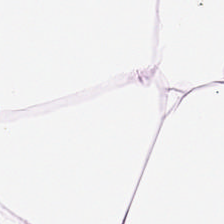Stain: H&E-stained tissue section.
Classification: adipose tissue.
